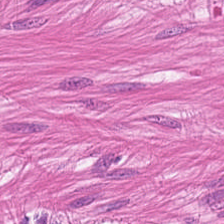Hematoxylin and eosin — This patch shows smooth-muscle tissue.
